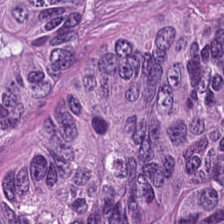Hematoxylin and eosin. This field is malignant epithelium.
